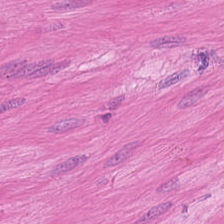Hematoxylin-and-eosin stained section. Impression — smooth-muscle tissue.
